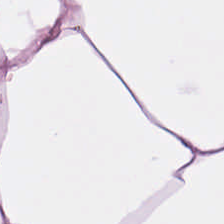Predominant tissue = adipocytes.
